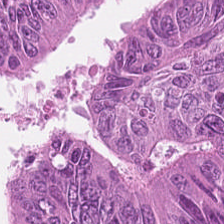WSI patch · H&E-stained tissue section — Histology — tumor epithelium.
